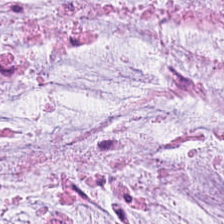224×224 px patch · brightfield · hematoxylin and eosin. Tissue class = mucus.
